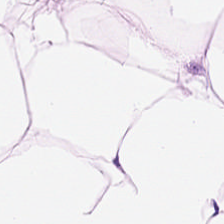Brightfield microscopy; H&E stain — This patch shows adipose tissue.
